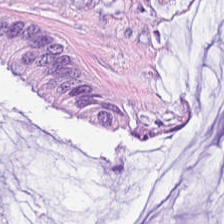Stain: H&E.
Predominant tissue: mucus.
